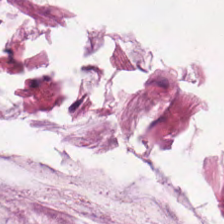H&E-stained tissue section — Tissue: mucin.
